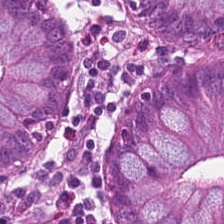Hematoxylin-and-eosin stained section. 224×224 pixel tile.
Q: What tissue type is shown here?
A: It is benign colonic mucosa.
